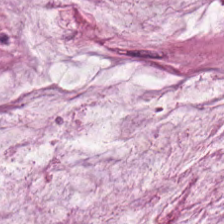{"tissue_type": "mucus"}
